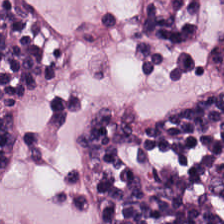H&E-stained tissue section — This field is lymphocytic infiltrate.
